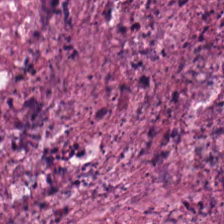H&E stain.
Tissue class — necrotic debris.
